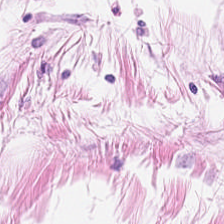Stain: hematoxylin and eosin.
Resolution: 20× equivalent magnification.
Acquisition: WSI patch.
Tissue type: adipocytes.
